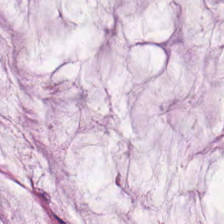Stain: H&E stain.
Tissue class: mucus.
